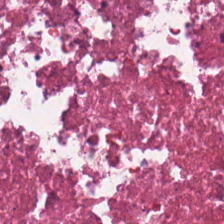224×224 pixel tile · H&E stain.
Q: What does this patch show?
A: This is cellular debris.
